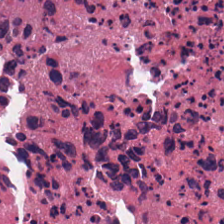Showing necrotic debris.
